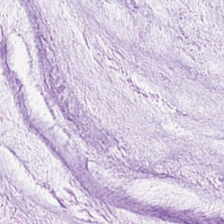H&E stain — Q: What tissue type is shown here?
A: It is extracellular mucin.
